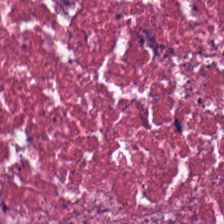H&E stain. 224×224 pixel tile. The predominant tissue is necrotic debris.
